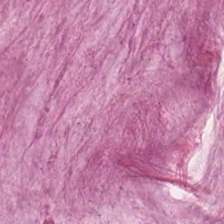Hematoxylin-and-eosin stained section; FFPE tissue section.
Finding → mucin.
